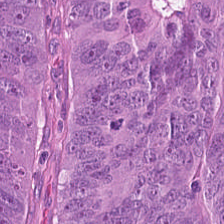Hematoxylin and eosin — Histology → colorectal adenocarcinoma epithelium.
